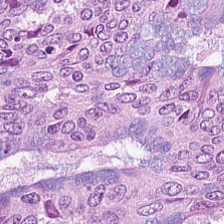224×224 pixel tile; H&E.
Malignant epithelium.
